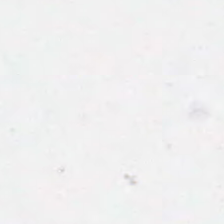0.5 µm per pixel; H&E.
Q: What is shown here?
A: Empty background.
